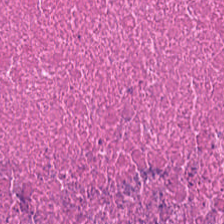Tissue class — debris.
